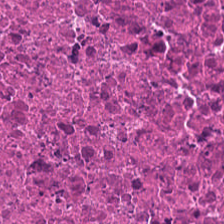Hematoxylin-and-eosin stained section. Q: What tissue is shown?
A: It is debris.
